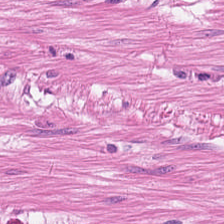Hematoxylin and eosin — Predominantly muscularis.
